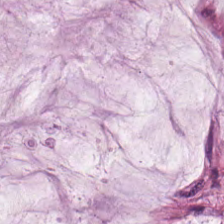H&E-stained tissue section. Classification: mucin.
